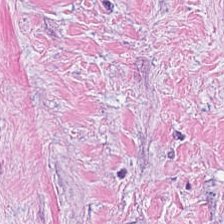Hematoxylin-and-eosin stained section — This patch shows desmoplastic stroma.
